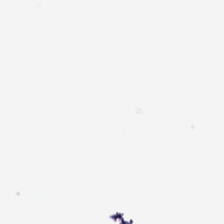Stain: H&E stain.
Content: background (no tissue).
